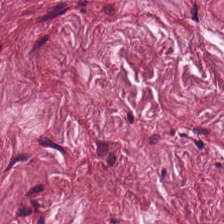Hematoxylin-and-eosin stained section. FFPE tissue section.
Finding → tumor-associated stroma.
